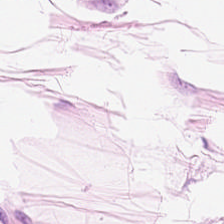Hematoxylin-and-eosin stained section; brightfield; 224×224 pixel tile.
Q: What does this patch show?
A: Adipocytes.
